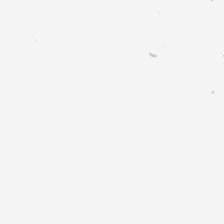Q: Classify this patch.
A: Background.
